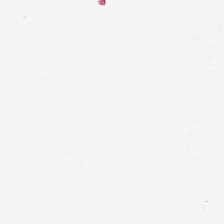This patch shows no tissue.
